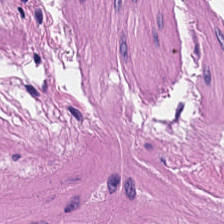H&E.
Impression → muscularis.
